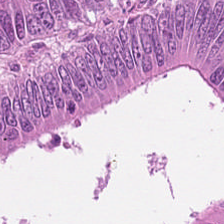Stain: H&E.
Preparation: formalin-fixed paraffin-embedded section.
Predominant tissue: adenocarcinoma.
